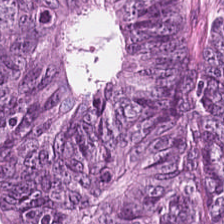H&E stain · 224×224 pixel tile. The predominant tissue is tumor epithelium.
